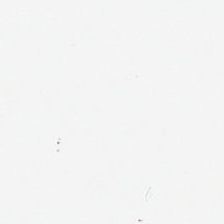Stain: hematoxylin and eosin.
Preparation: FFPE.
Classification: background (no tissue).
